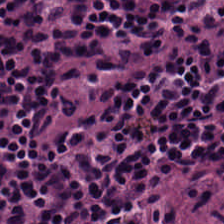Brightfield microscopy; H&E-stained tissue section. The predominant tissue is lymphoid infiltrate.
